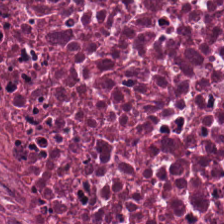Stain: H&E-stained tissue section.
Classification: necrotic debris.
